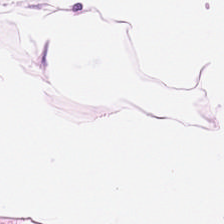Whole-slide-image patch. H&E.
{"tissue_type": "adipose tissue"}
